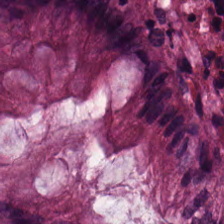0.5 µm per pixel · H&E-stained tissue section — Non-neoplastic colon mucosa.
